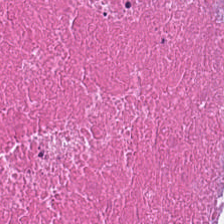Tissue class: cellular debris.
